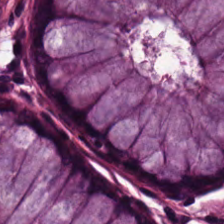Stain: H&E-stained tissue section.
Predominant tissue: normal colon mucosa.
